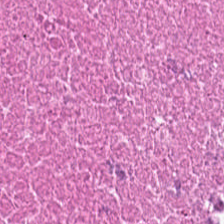Hematoxylin-and-eosin stained section. The tissue is debris.
